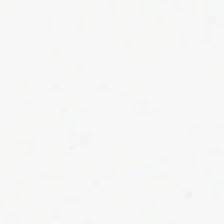FFPE tissue section. H&E. Q: Classify this patch.
A: No tissue.
